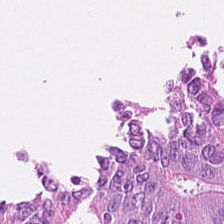The predominant tissue is adenocarcinoma.
